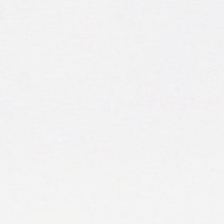Empty field — no tissue.
